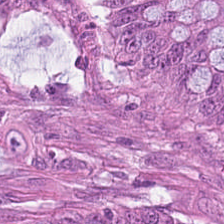224×224 px tile; H&E stain — Finding — malignant epithelium.
